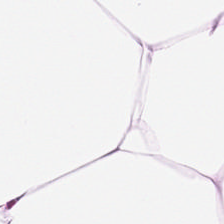Hematoxylin and eosin. Showing adipocytes.
